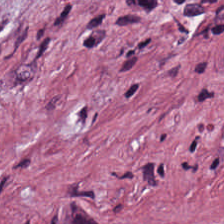Hematoxylin-and-eosin stained section.
{"tissue_type": "cancer-associated stroma"}
